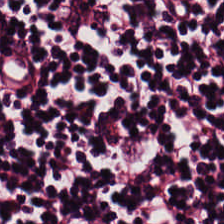H&E stain.
Tissue type = lymphoid infiltrate.
